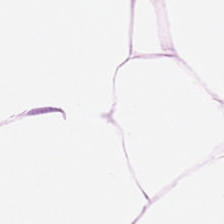20× equivalent magnification; brightfield; H&E-stained tissue section — The predominant tissue is adipose.
